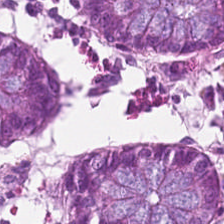H&E; 224×224 pixel tile.
Predominantly normal colon mucosa.
